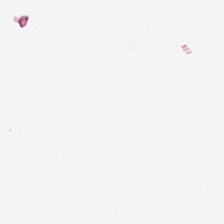Finding → background (no tissue).
